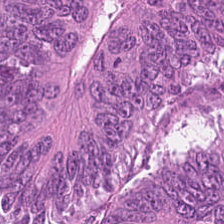Hematoxylin and eosin — The tissue here is colorectal adenocarcinoma.
